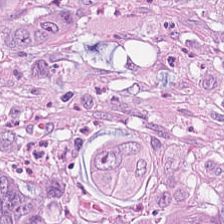224×224 px tile. H&E stain.
Showing tumor epithelium.
